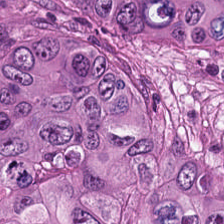H&E; 224×224 px patch; 0.5 µm/px.
Predominant tissue: malignant epithelium.
